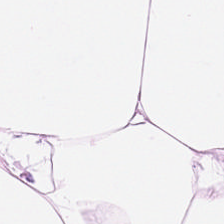Hematoxylin-and-eosin stained section.
This field is adipocytes.
